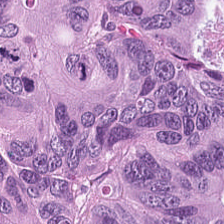Tissue: colorectal adenocarcinoma epithelium.
